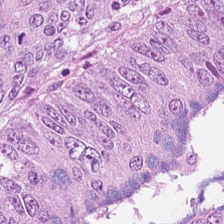H&E-stained tissue section — This field is adenocarcinoma.
